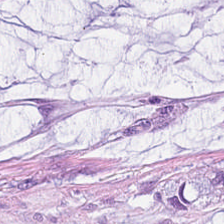Q: What tissue is shown?
A: This is mucus.
